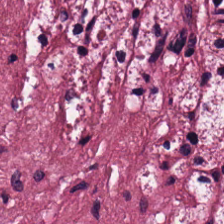FFPE tissue section; H&E. Tissue type: tumor stroma.
